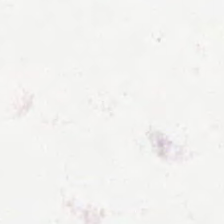WSI patch; H&E stain — Q: Classify this patch.
A: Background.
